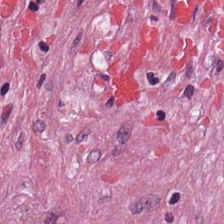FFPE. H&E-stained tissue section. 224×224 px tile.
The predominant tissue is desmoplastic stroma.
